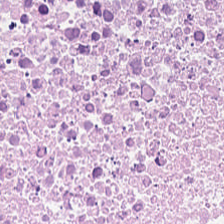Hematoxylin and eosin.
Tissue type: cellular debris.
